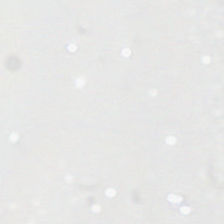Field content — empty background.
